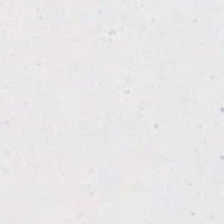H&E; 224×224 px patch. Field content — no tissue.
